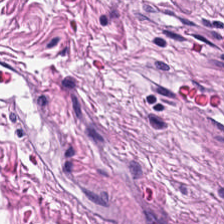Stain: hematoxylin and eosin.
Resolution: 0.5 microns per pixel.
Tile size: 224×224 px tile.
Tissue type: smooth muscle.
